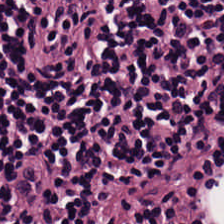This field is lymphocytes.
